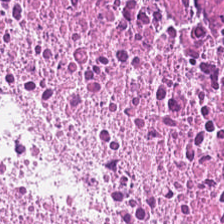H&E-stained tissue section — Necrotic debris.
